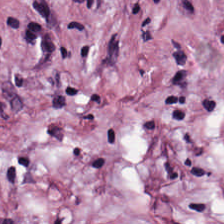Hematoxylin and eosin. 0.5 µm per pixel. WSI patch. Impression → desmoplastic stroma.
